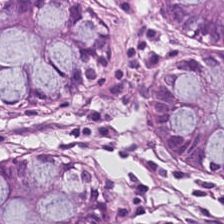H&E-stained tissue section — This field is non-neoplastic colon mucosa.
